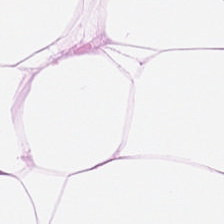H&E — Impression — adipocytes.
